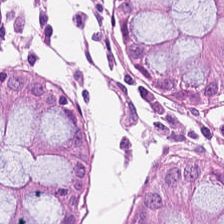This patch shows benign colonic mucosa.
